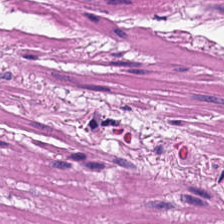Hematoxylin-and-eosin stained section.
This field is smooth-muscle tissue.
